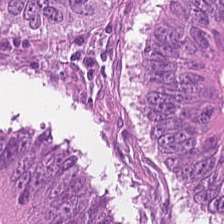Hematoxylin-and-eosin stained section.
Impression → tumor epithelium.
